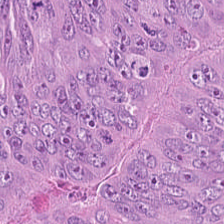H&E-stained tissue section. This field is adenocarcinoma.
